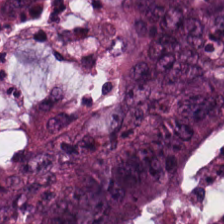Finding — tumor epithelium.
